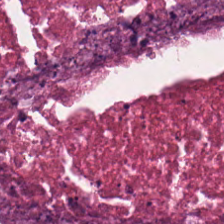The predominant tissue is necrotic debris.
